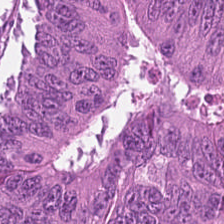Brightfield microscopy · hematoxylin-and-eosin stained section — The tissue is tumor epithelium.
